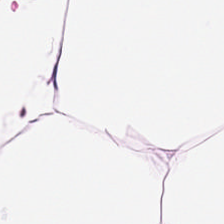H&E stain — {"tissue_type": "fat tissue"}
